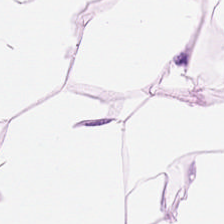0.5 µm/px. Hematoxylin-and-eosin stained section. Formalin-fixed paraffin-embedded section.
This patch shows adipose tissue.
